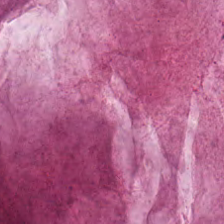Hematoxylin-and-eosin stained section — Q: What is the predominant tissue type?
A: This is mucus.
